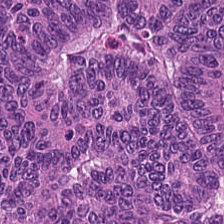H&E stain.
Showing colorectal adenocarcinoma.
